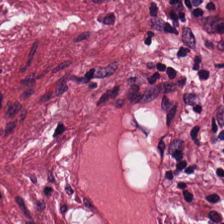H&E stain.
Impression — tumor stroma.
